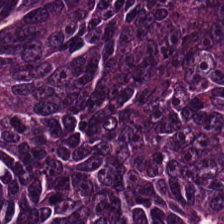H&E-stained tissue section. Tissue — tumor epithelium.
